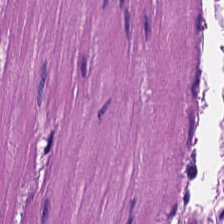Impression — muscularis.
